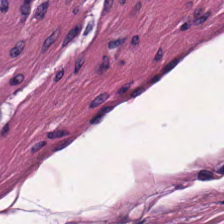H&E stain. Histology — smooth muscle.
